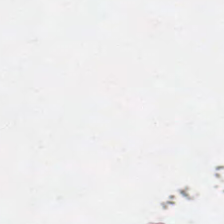H&E. Background (no tissue).
